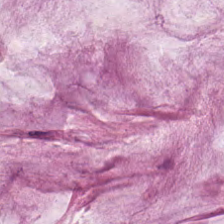H&E stain.
Histology — mucus.
